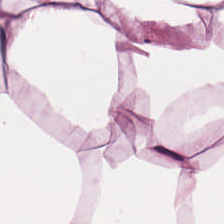This patch shows adipose.
